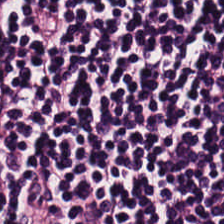Impression → lymphocytic infiltrate.
